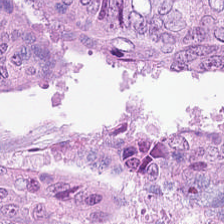H&E. {"tissue_type": "tumor epithelium"}
